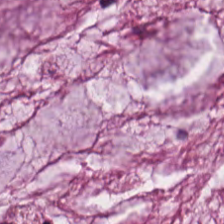224×224 pixel tile · H&E-stained tissue section — Histology — mucin.
